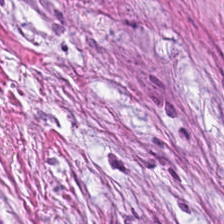FFPE tissue section. H&E. Impression → cancer-associated stroma.
